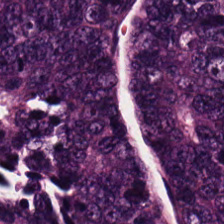H&E — malignant epithelium.
